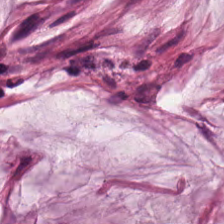Hematoxylin and eosin; 0.5 microns per pixel — Predominant tissue = mucus.
